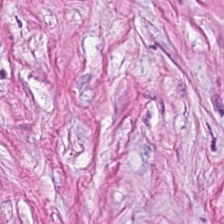Hematoxylin and eosin.
{"tissue_type": "cancer-associated stroma"}
